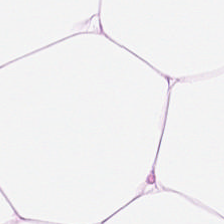H&E. Classification: adipocytes.
